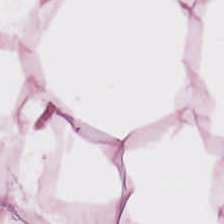Stain: hematoxylin and eosin.
Classification: fat tissue.
